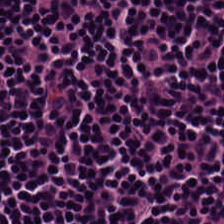FFPE tissue section; H&E stain; 224×224 pixel tile.
This field is lymphocytes.
